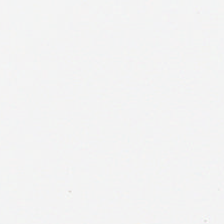Formalin-fixed paraffin-embedded section. Whole-slide-image patch. H&E — Q: Classify this patch.
A: The field shows background.
